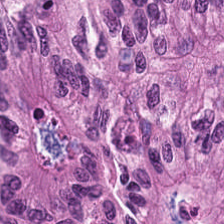Stain: H&E stain.
Tissue type: colorectal adenocarcinoma.
